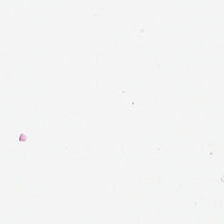H&E-stained tissue section. This patch shows no tissue.
